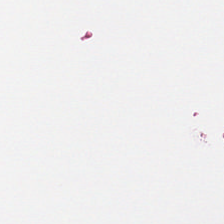H&E — Empty background.
